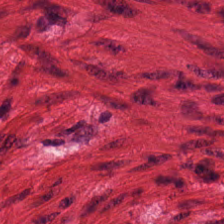{"tissue_type": "smooth muscle"}
